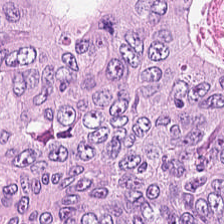Finding — tumor epithelium.
